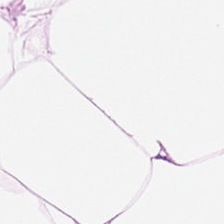Hematoxylin-and-eosin stained section. {"tissue_type": "fat tissue"}
